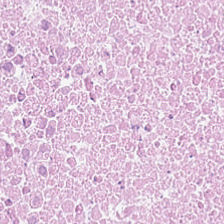H&E stain · 0.5 microns per pixel — Showing cellular debris.
